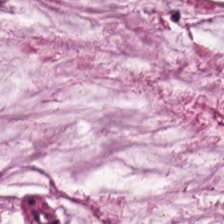Hematoxylin-and-eosin stained section. Showing mucin.
